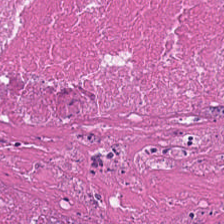Hematoxylin-and-eosin stained section. 0.5 microns per pixel.
This patch shows debris.
